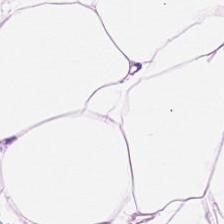0.5 µm per pixel; H&E stain — This field is adipocytes.
